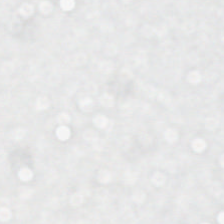This patch shows empty background.
